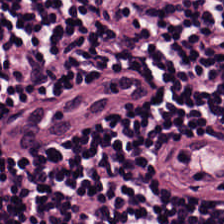Stain: hematoxylin and eosin.
Resolution: 0.5 µm/px.
Tissue: lymphocytic infiltrate.
